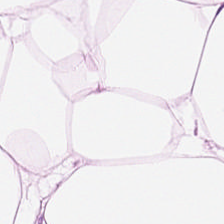H&E-stained tissue section. Q: What is shown in this field?
A: This is adipose tissue.
